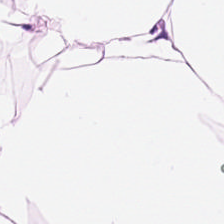Hematoxylin-and-eosin stained section.
This field is adipose tissue.
